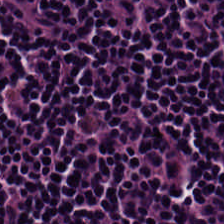H&E-stained tissue section — Tissue class — lymphocytes.
